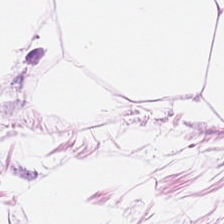H&E-stained section; the field shows adipose.
